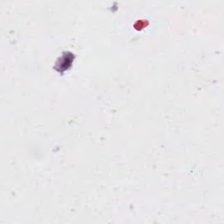H&E. FFPE.
Q: Classify this patch.
A: The field shows background (no tissue).
